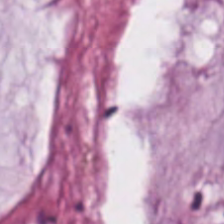H&E stain.
Mucin.
